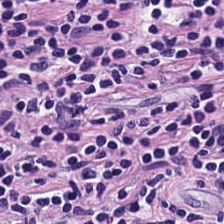0.5 µm/px; H&E stain; whole-slide-image patch — This field is lymphocytes.
